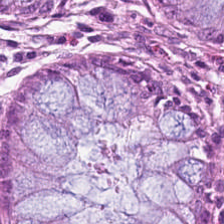FFPE tissue section; hematoxylin and eosin — Q: What type of tissue is this?
A: Non-neoplastic colon mucosa.
